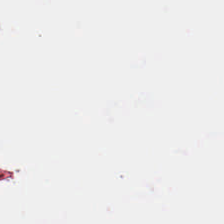Hematoxylin-and-eosin stained section — Q: Classify this patch.
A: This is empty background.
